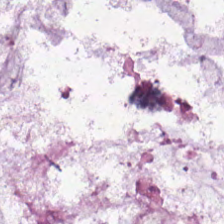H&E stain. Q: What tissue type is shown here?
A: It is mucus.
